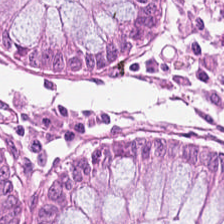{"tissue_type": "normal colonic mucosa"}
